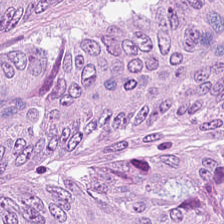Hematoxylin-and-eosin stained section.
Colorectal adenocarcinoma epithelium.
